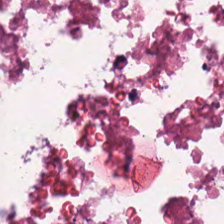Stain: H&E stain.
Preparation: formalin-fixed paraffin-embedded section.
Tile size: 224×224 px tile.
Tissue type: cellular debris.
